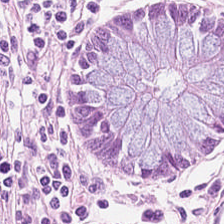Hematoxylin and eosin · 20× equivalent magnification. Finding → non-neoplastic colon mucosa.
